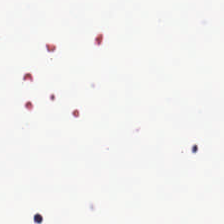Formalin-fixed paraffin-embedded section. Hematoxylin-and-eosin stained section. 224×224 px patch.
Background — no tissue in this field.
